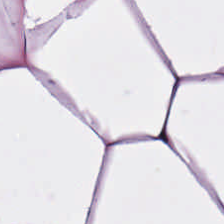{"tissue_type": "adipose tissue"}
